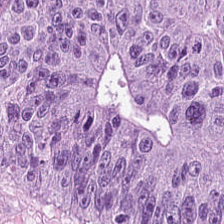Hematoxylin-and-eosin stained section. Formalin-fixed paraffin-embedded section. The tissue is colorectal adenocarcinoma epithelium.
